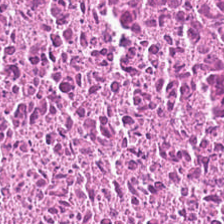H&E stain.
Histology → necrotic debris.
